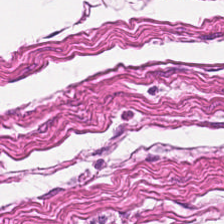Showing smooth-muscle tissue.
